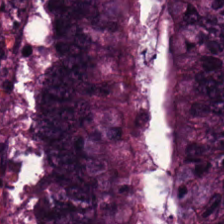Hematoxylin-and-eosin stained section. Histology → malignant epithelium.
